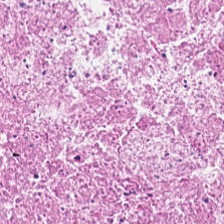Whole-slide-image patch · hematoxylin and eosin — The tissue class is cellular debris.
